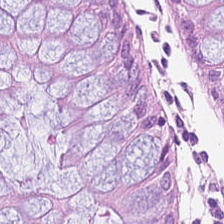H&E-stained tissue section. This patch shows normal colon mucosa.
